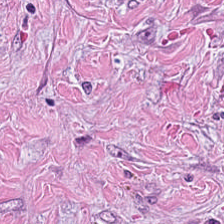224×224 px patch; brightfield; H&E-stained tissue section — Tissue type = cancer-associated stroma.
